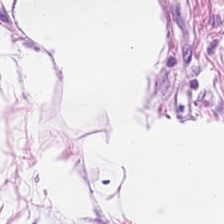Hematoxylin-and-eosin stained section. {"tissue_type": "fat tissue"}
